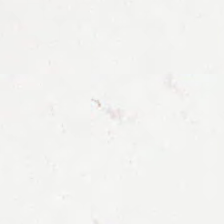{"content": "empty background"}
